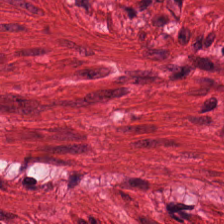Impression → smooth-muscle tissue.
